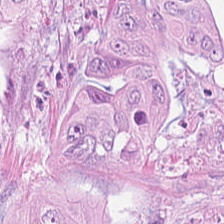Stain: H&E-stained tissue section.
Acquisition: whole-slide-image patch.
Tissue class: adenocarcinoma.
